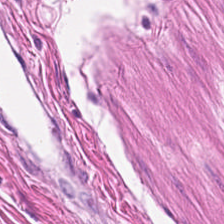Hematoxylin-and-eosin stained section.
Finding — smooth-muscle tissue.
